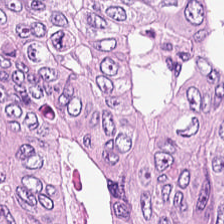Colorectal adenocarcinoma epithelium.
